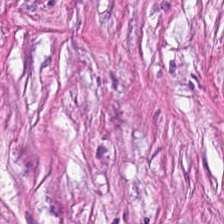224×224 pixel tile. H&E stain. The tissue here is tumor-associated stroma.
